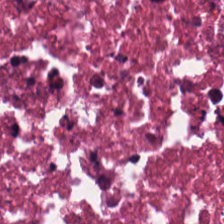Hematoxylin and eosin.
The classification is cellular debris.
